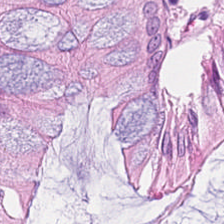224×224 px tile. H&E stain. WSI patch. This patch shows normal colonic mucosa.
